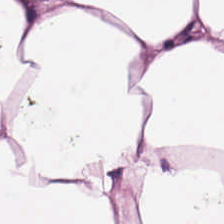H&E stain — Q: What tissue type is shown here?
A: This is adipose tissue.
